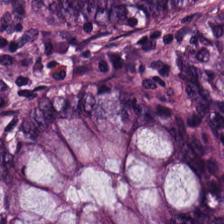Whole-slide-image patch; 0.5 microns per pixel; hematoxylin and eosin.
Histology — normal colonic mucosa.
